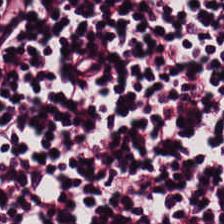H&E. Q: What is shown here?
A: This is lymphocyte aggregate.
